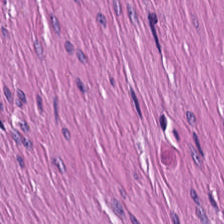224×224 pixel tile. Hematoxylin-and-eosin stained section. Showing smooth muscle.
